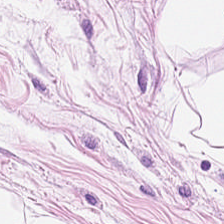Showing adipocytes.
